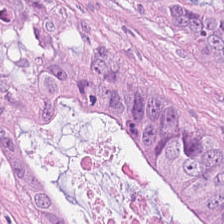Whole-slide-image patch. Hematoxylin and eosin. Impression → colorectal adenocarcinoma.
